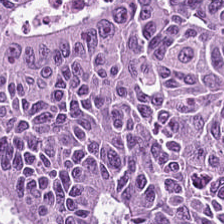Hematoxylin-and-eosin stained section.
The predominant tissue is colorectal adenocarcinoma epithelium.
